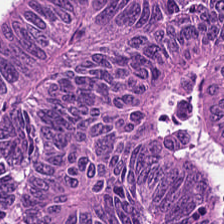Tissue = adenocarcinoma.
